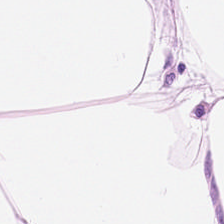Hematoxylin-and-eosin section: adipose tissue.
